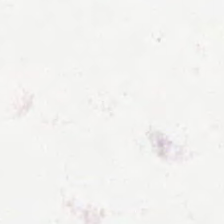Classification: background (no tissue).
